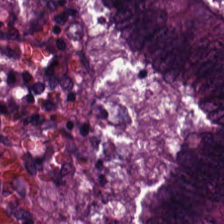H&E. Classification: malignant epithelium.
